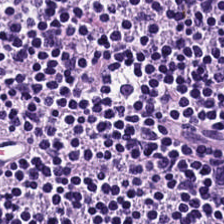Hematoxylin and eosin · FFPE tissue section · whole-slide-image patch. Tissue type = lymphocytic infiltrate.
